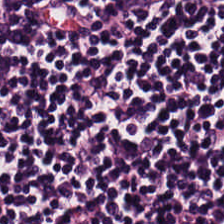Hematoxylin and eosin; 0.5 microns per pixel; WSI patch. This patch shows lymphocytes.
